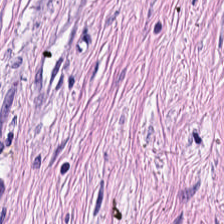Histology — tumor-associated stroma.
